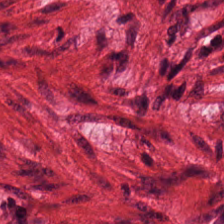Hematoxylin and eosin; brightfield — Predominant tissue = smooth muscle.
